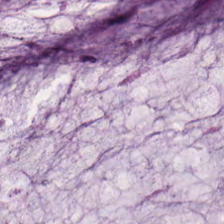Mucin.
